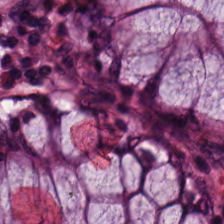H&E — {"tissue_type": "non-neoplastic colon mucosa"}
